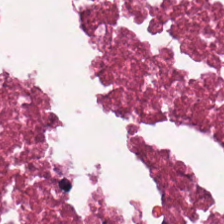Stain: H&E stain.
Tissue: cellular debris.
